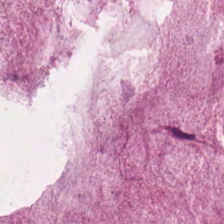H&E stain.
{"tissue_type": "mucus"}
